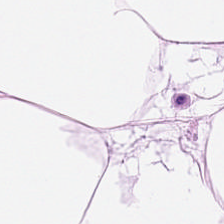H&E-stained section; the field shows fat tissue.
